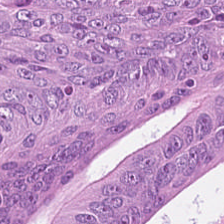{"tissue_type": "tumor epithelium"}
